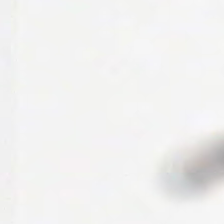0.5 µm per pixel · FFPE · hematoxylin-and-eosin stained section. Histology — empty background.
